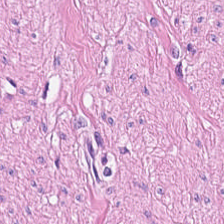Stain: H&E.
Tile size: 224×224 px patch.
Tissue: muscularis.
